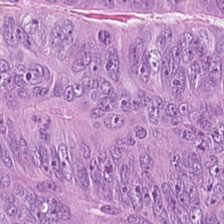H&E-stained tissue section.
Predominant tissue — tumor epithelium.
